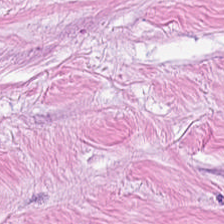H&E-stained tissue section. Tissue class = tumor stroma.
